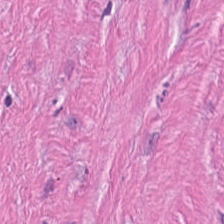H&E stain; 224×224 px patch; brightfield — Tumor-associated stroma.
